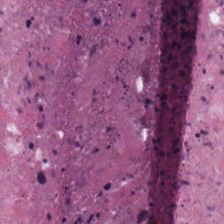Q: What type of tissue is this?
A: The field shows necrotic debris.
